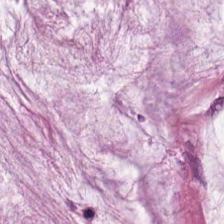H&E stain. Tissue type: mucin.
